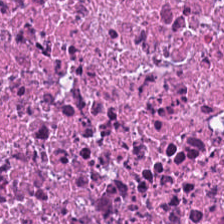The tissue here is debris.
